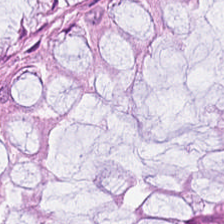H&E stain · 0.5 microns per pixel.
The tissue here is normal colon mucosa.
